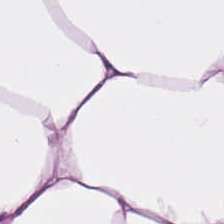Stain: H&E stain.
Classification: adipose.
